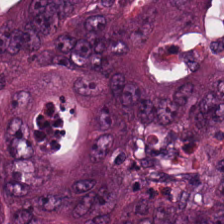H&E — Tissue type: tumor epithelium.
